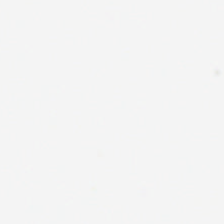Stain: hematoxylin and eosin.
Classification: no tissue.
